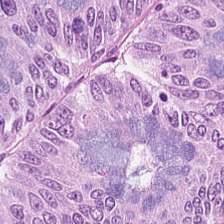Hematoxylin-and-eosin stained section. Brightfield microscopy. 0.5 microns per pixel. The predominant tissue is malignant epithelium.
